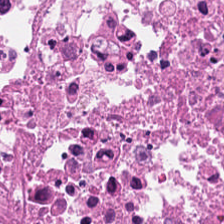Hematoxylin and eosin; whole-slide-image patch — Cellular debris.
